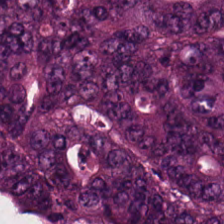224×224 px patch; hematoxylin and eosin; formalin-fixed paraffin-embedded section — Predominant tissue — malignant epithelium.
